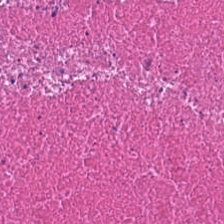Stain: hematoxylin and eosin.
Resolution: 0.5 µm per pixel.
Tissue: cellular debris.
